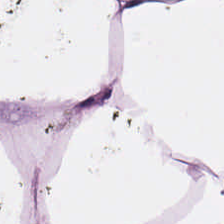Histology — adipocytes.
